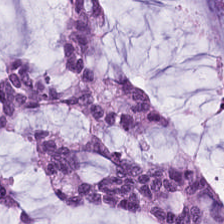Tissue class — mucin.
